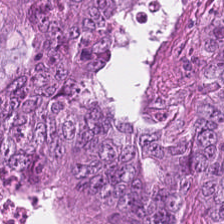H&E stain — This patch shows colorectal adenocarcinoma epithelium.
